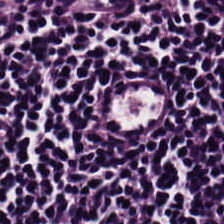Hematoxylin-and-eosin stained section — {"tissue_type": "lymphocytic infiltrate"}
